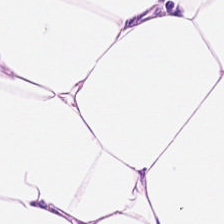224×224 px tile · hematoxylin-and-eosin stained section · 0.5 microns per pixel. Histology — fat tissue.
